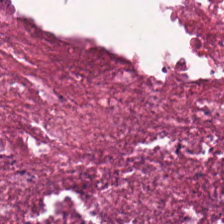H&E. 0.5 µm per pixel. Predominant tissue — debris.
